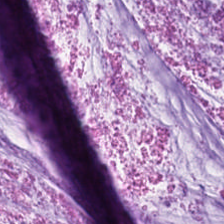Predominant tissue — extracellular mucin.
